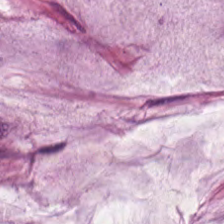Stain: H&E-stained tissue section.
Acquisition: whole-slide-image patch.
Tile size: 224×224 px tile.
Classification: extracellular mucin.
